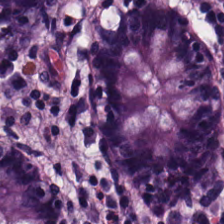H&E stain · FFPE tissue section — Finding → normal colonic mucosa.
